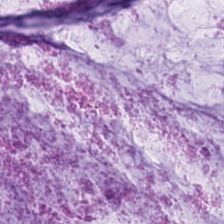H&E-stained tissue section.
Predominantly mucus.
